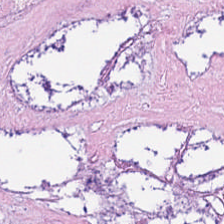Impression — cellular debris.
